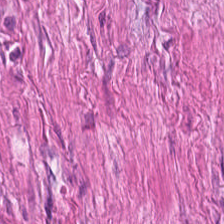H&E — smooth muscle.
